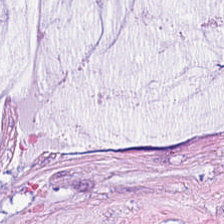Stain: hematoxylin and eosin.
Predominant tissue: extracellular mucin.
